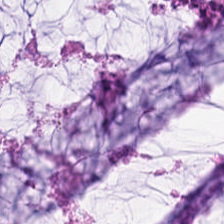Hematoxylin-and-eosin stained section. Tissue — mucin.
